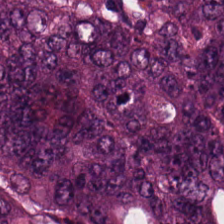Stain: H&E.
Classification: colorectal adenocarcinoma.
